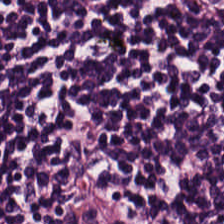H&E — lymphocytes.
